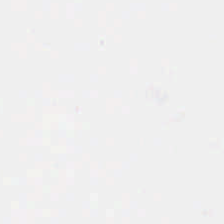224×224 px patch · hematoxylin-and-eosin stained section.
Q: What is shown here?
A: Empty background.
